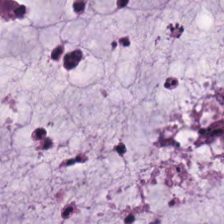H&E.
The predominant tissue is mucus.
